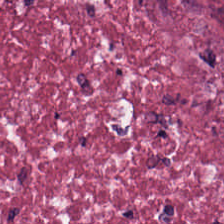Hematoxylin-and-eosin stained section; brightfield microscopy; 0.5 microns per pixel. Classification: tumor stroma.
